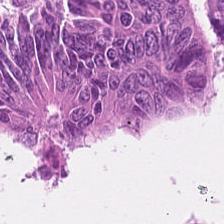H&E-stained tissue section — {"tissue_type": "colorectal adenocarcinoma epithelium"}
